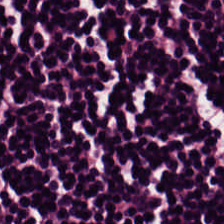H&E — Predominantly lymphoid infiltrate.
